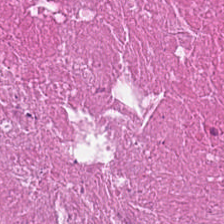Classification: necrotic debris.
